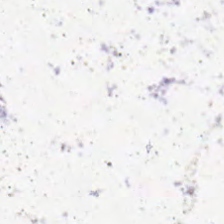Stain: H&E-stained tissue section.
Acquisition: WSI patch.
Content: background (no tissue).
